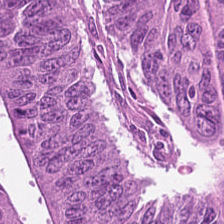H&E. Tissue class: adenocarcinoma.
